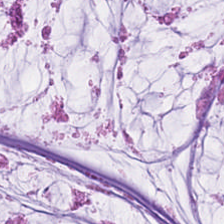Q: Classify this patch.
A: The field shows mucus.
